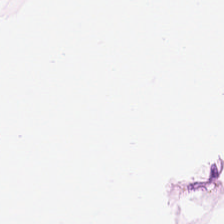Hematoxylin and eosin. Tissue class — adipose.
